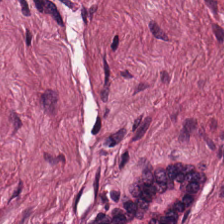H&E stain. Q: What tissue is shown?
A: This is desmoplastic stroma.
